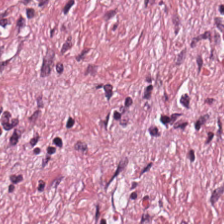Hematoxylin-and-eosin stained section — This patch shows desmoplastic stroma.
